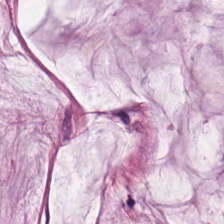H&E; brightfield. Q: What tissue type is shown here?
A: This is extracellular mucin.
